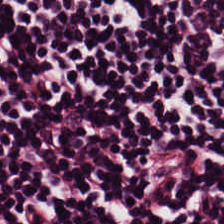Hematoxylin-and-eosin stained section — Q: What is shown here?
A: Lymphocyte aggregate.
